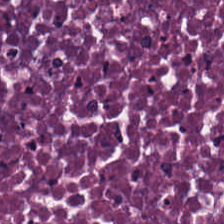Brightfield. H&E-stained tissue section.
Cellular debris.
